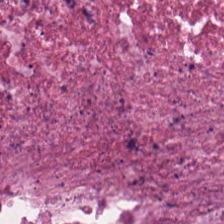Q: What type of tissue is this?
A: It is debris.
